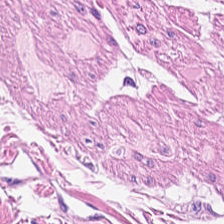Hematoxylin-and-eosin stained section — This field is muscularis.
